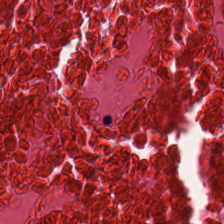H&E-stained tissue section.
Histology → cellular debris.
